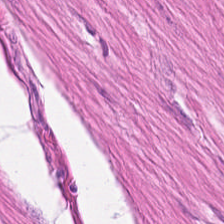H&E — Q: What is shown here?
A: It is smooth-muscle tissue.
